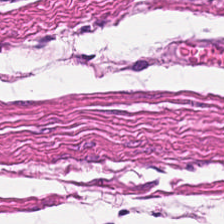Stain: hematoxylin-and-eosin stained section.
Tissue: smooth muscle.
